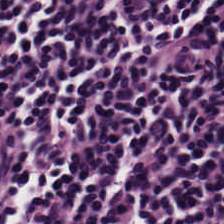Hematoxylin-and-eosin stained section — The tissue here is lymphocytic infiltrate.
